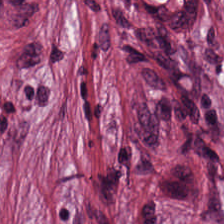H&E stain — Q: What tissue type is shown here?
A: It is desmoplastic stroma.
